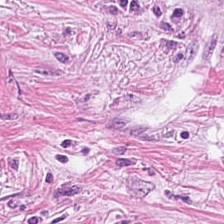Hematoxylin and eosin. Predominantly cancer-associated stroma.
